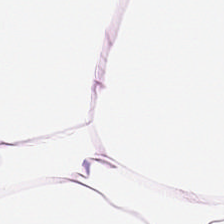Hematoxylin and eosin — Tissue — adipocytes.
